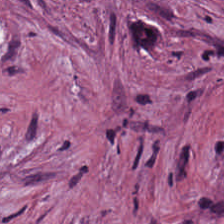H&E stain — Predominant tissue: desmoplastic stroma.
